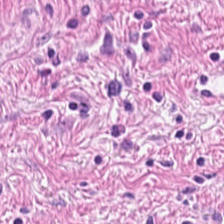Hematoxylin and eosin. Showing muscularis.
